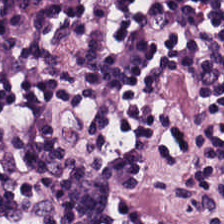Stain: hematoxylin and eosin.
Tissue class: lymphocytic infiltrate.
